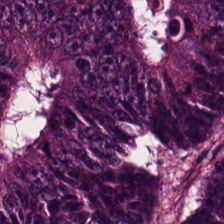Stain: hematoxylin-and-eosin stained section.
Tissue class: colorectal adenocarcinoma.
